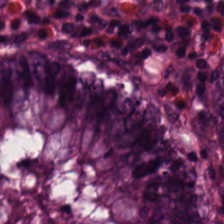H&E stain — Q: What type of tissue is this?
A: This is normal colon mucosa.
